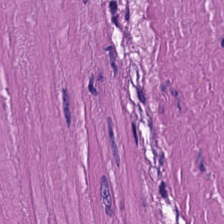H&E stain. Smooth muscle.
